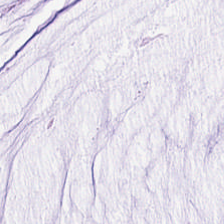H&E-stained tissue section; 224×224 pixel tile — This patch shows mucus.
